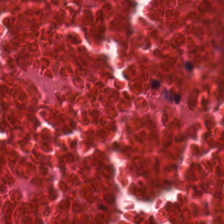Hematoxylin and eosin · formalin-fixed paraffin-embedded section — Necrotic debris.
